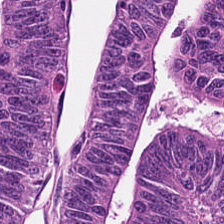Brightfield. H&E-stained tissue section. Showing colorectal adenocarcinoma.
